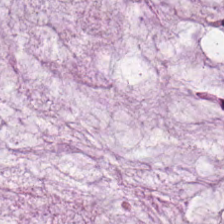Hematoxylin and eosin · brightfield. The tissue class is mucin.
